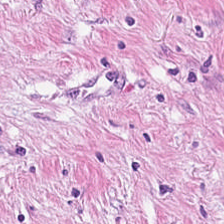H&E-stained tissue section — Q: What is shown in this field?
A: It is tumor-associated stroma.
